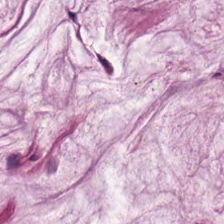0.5 µm/px. Hematoxylin and eosin — Finding → extracellular mucin.
